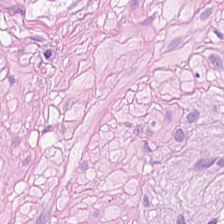Stain: H&E-stained tissue section.
Tissue class: smooth-muscle tissue.
